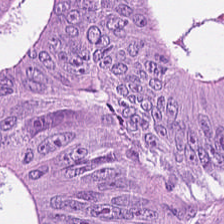WSI patch. Hematoxylin and eosin.
Impression → colorectal adenocarcinoma epithelium.
